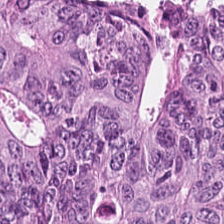Hematoxylin-and-eosin stained section. 224×224 px patch — Predominant tissue = adenocarcinoma.
